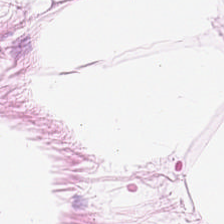Stain: H&E-stained tissue section.
Predominant tissue: adipocytes.
